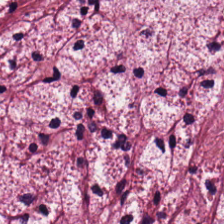H&E-stained tissue section — Tissue — tumor-associated stroma.
